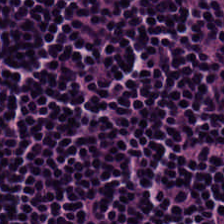Stain: H&E stain.
Classification: lymphoid infiltrate.
